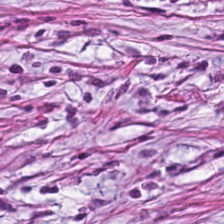H&E — Showing cancer-associated stroma.
